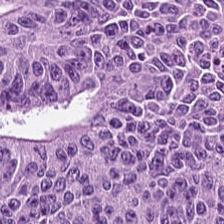Hematoxylin-and-eosin stained section — Tissue class — malignant epithelium.
